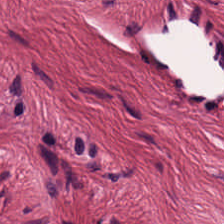Hematoxylin-and-eosin stained section — Histology — tumor stroma.
